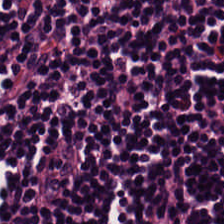H&E stain; 0.5 µm/px. The tissue here is lymphocyte aggregate.
